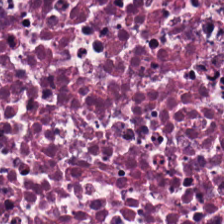Stain: H&E-stained tissue section.
Tissue type: necrotic debris.
